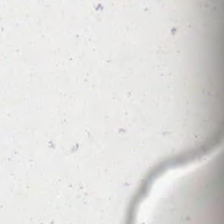Hematoxylin-and-eosin stained section.
Empty field — background.
